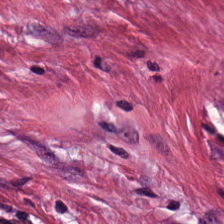H&E. Classification: desmoplastic stroma.
